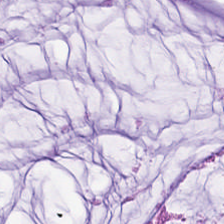Stain: hematoxylin and eosin.
Tissue class: mucus.
